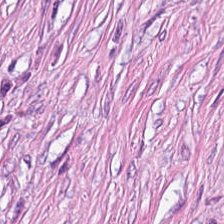Q: What is shown in this field?
A: The field shows cancer-associated stroma.
